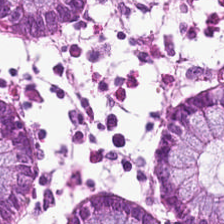H&E — normal colon mucosa.
